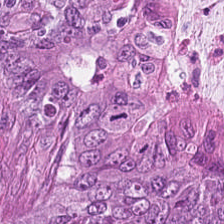H&E — colorectal adenocarcinoma epithelium.
